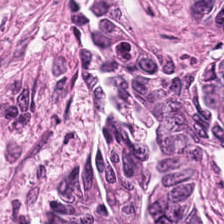Showing colorectal adenocarcinoma epithelium.
